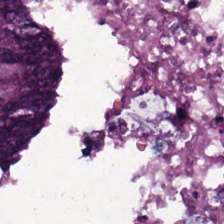H&E; WSI patch. The classification is colorectal adenocarcinoma epithelium.
